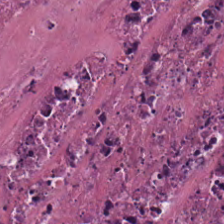H&E stain · brightfield. This field is debris.
